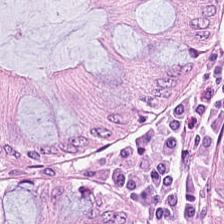Stain: H&E.
Preparation: FFPE.
Tissue class: normal colon mucosa.
